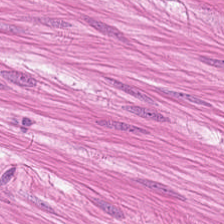H&E stain.
Q: What is shown in this field?
A: This is smooth-muscle tissue.
